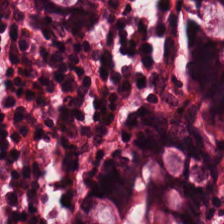H&E-stained tissue section. FFPE. 224×224 px tile.
Benign colonic mucosa.
